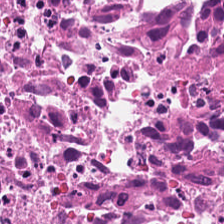Hematoxylin-and-eosin stained section · 224×224 px patch — The tissue class is cellular debris.
